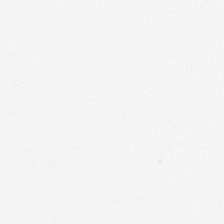Classification = background (no tissue).
